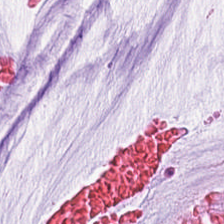H&E. Brightfield microscopy — The predominant tissue is mucus.
